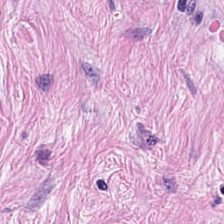H&E; 20× equivalent magnification.
The tissue class is tumor-associated stroma.
